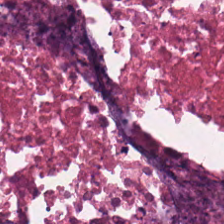The tissue here is cellular debris.
